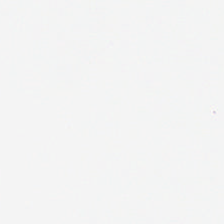H&E-stained tissue section · FFPE — This field is background (no tissue).
